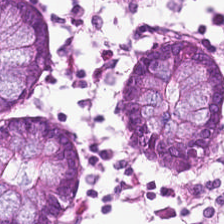This patch shows normal colon mucosa.
